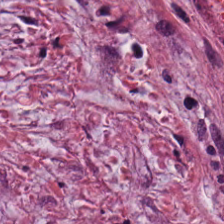Stain: H&E stain.
Predominant tissue: cancer-associated stroma.
